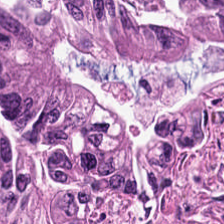Stain: hematoxylin and eosin.
Tissue type: tumor epithelium.
